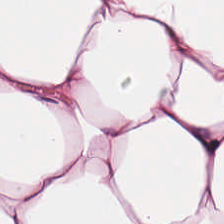Stain: hematoxylin-and-eosin stained section.
Tile size: 224×224 px patch.
Tissue class: fat tissue.
